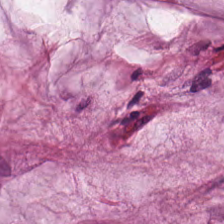H&E. The tissue type is mucin.
